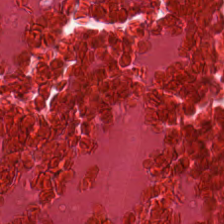Impression — debris.
